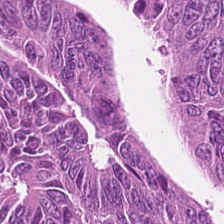H&E-stained tissue section. The classification is tumor epithelium.
